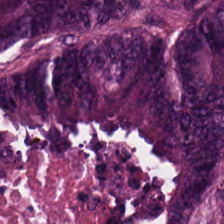Formalin-fixed paraffin-embedded section. H&E-stained tissue section.
The predominant tissue is adenocarcinoma.
